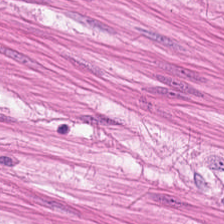Hematoxylin and eosin. Classification = muscularis.
